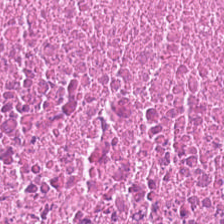224×224 pixel tile; WSI patch; H&E-stained tissue section.
Predominantly cellular debris.
